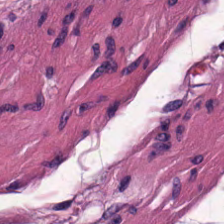Hematoxylin and eosin; formalin-fixed paraffin-embedded section.
Showing smooth muscle.
